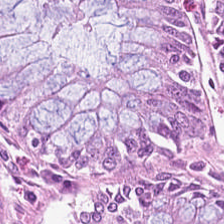H&E stain. Predominantly normal colonic mucosa.
